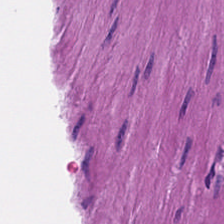Hematoxylin and eosin.
Classification = muscularis.
